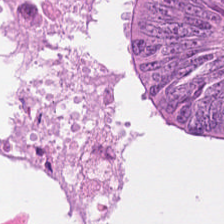H&E. Tissue class — tumor epithelium.
